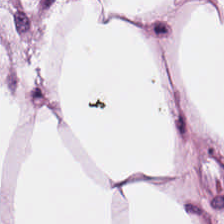Hematoxylin and eosin. 20× equivalent magnification.
Tissue class: adipocytes.
